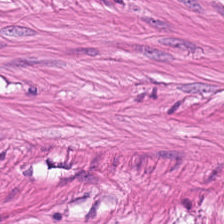H&E-stained tissue section — Tissue type: smooth muscle.
